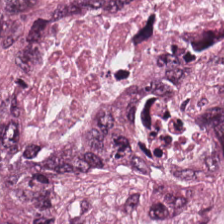Whole-slide-image patch. H&E.
Q: What is the predominant tissue type?
A: Malignant epithelium.
